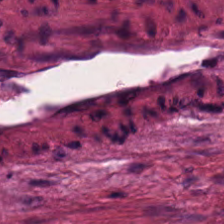Hematoxylin-and-eosin stained section; brightfield microscopy — This patch shows tumor-associated stroma.
